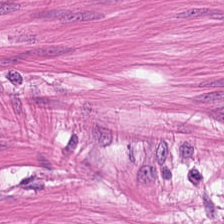Brightfield. H&E-stained tissue section — The predominant tissue is smooth muscle.
